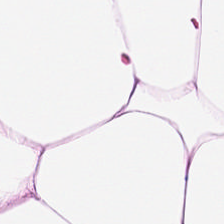Hematoxylin and eosin; 0.5 µm/px; FFPE tissue section — The tissue type is fat tissue.
